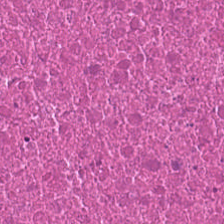H&E patch showing cellular debris.
